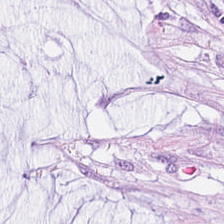FFPE. H&E stain — Histology — mucin.
